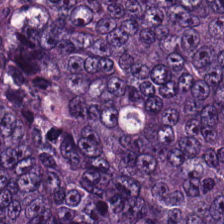H&E stain.
Tissue type: malignant epithelium.
